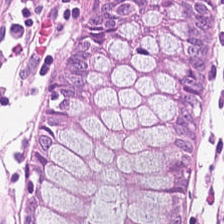Stain: hematoxylin-and-eosin stained section.
Classification: normal colonic mucosa.
